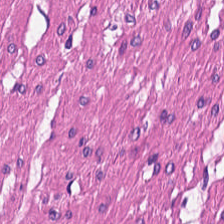H&E.
Classification = smooth-muscle tissue.
